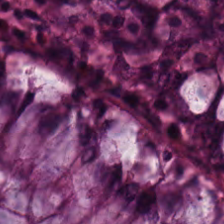Hematoxylin-and-eosin stained section — The tissue class is benign colonic mucosa.
